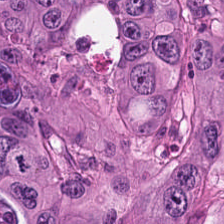Q: Identify the tissue.
A: This is adenocarcinoma.
